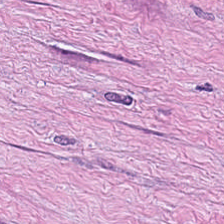H&E. 0.5 µm per pixel. WSI patch. This patch shows cancer-associated stroma.
